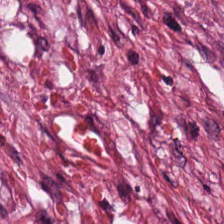H&E stain. Showing desmoplastic stroma.
